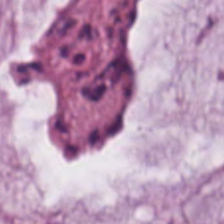Q: What type of tissue is this?
A: The field shows mucus.
